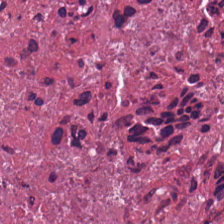FFPE; 224×224 px tile; hematoxylin-and-eosin stained section — Histology — necrotic debris.
